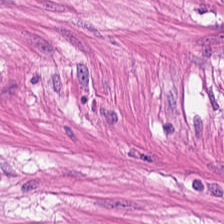Q: What type of tissue is this?
A: Smooth muscle.
